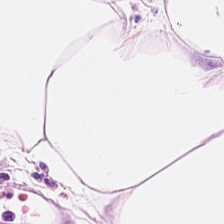Formalin-fixed paraffin-embedded section · H&E-stained tissue section. This patch shows fat tissue.
